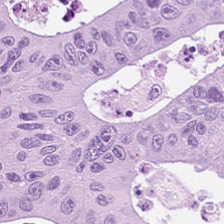H&E. Showing colorectal adenocarcinoma epithelium.
